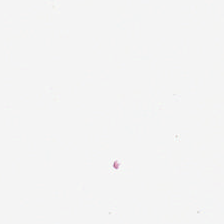The field content is empty background.
